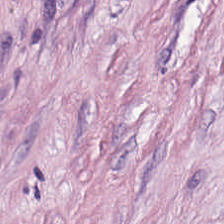Hematoxylin-and-eosin stained section. FFPE tissue section.
Histology → desmoplastic stroma.
